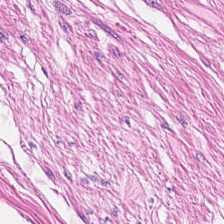H&E. 224×224 pixel tile.
The predominant tissue is muscularis.
